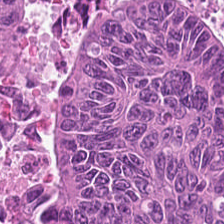Whole-slide-image patch; hematoxylin-and-eosin stained section.
Malignant epithelium.
